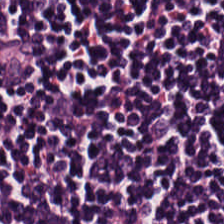Hematoxylin and eosin. Tissue = lymphocytic infiltrate.
